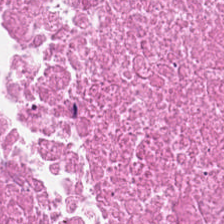H&E stain — The tissue here is necrotic debris.
